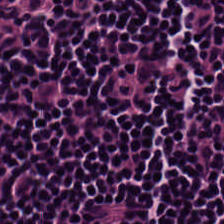Hematoxylin and eosin. Predominantly lymphoid infiltrate.
